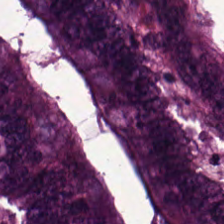Hematoxylin and eosin.
Tissue type: colorectal adenocarcinoma.
